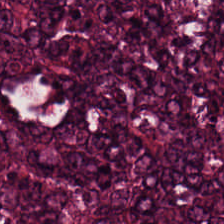H&E stain — Q: Identify the tissue.
A: Tumor epithelium.
